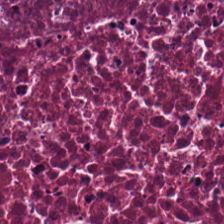Stain: H&E.
Acquisition: brightfield microscopy.
Predominant tissue: cellular debris.
